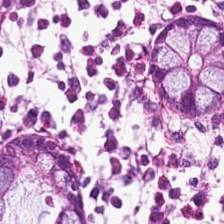Tissue — normal colon mucosa.
